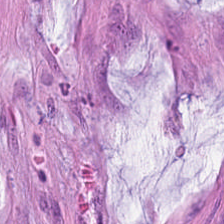Formalin-fixed paraffin-embedded section · hematoxylin-and-eosin stained section — Q: What does this patch show?
A: Extracellular mucin.
